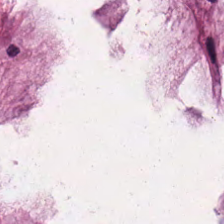224×224 px tile; H&E stain — Q: What is the predominant tissue type?
A: Mucin.
